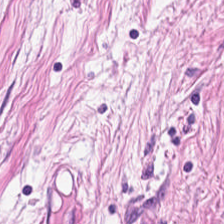The predominant tissue is tumor stroma.
